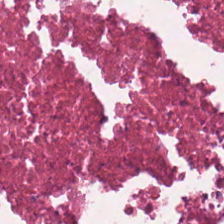H&E.
{"tissue_type": "necrotic debris"}
